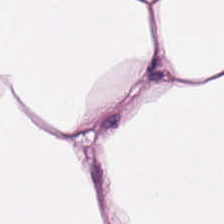The predominant tissue is adipocytes.
